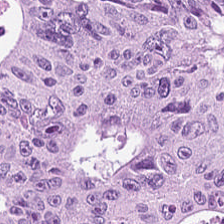Hematoxylin and eosin. This field is colorectal adenocarcinoma epithelium.
